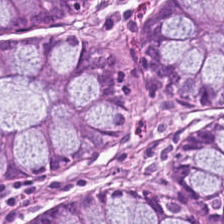Hematoxylin-and-eosin stained section. Predominantly non-neoplastic colon mucosa.
